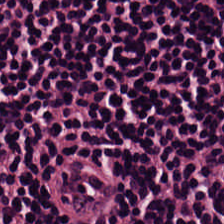Stain: H&E.
Acquisition: WSI patch.
Tissue type: lymphocyte aggregate.
